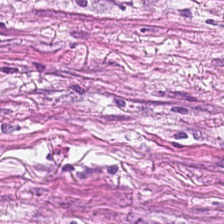Brightfield. 224×224 px tile. Hematoxylin-and-eosin stained section.
This field is tumor stroma.
